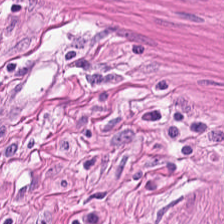FFPE. H&E-stained tissue section.
The tissue class is smooth-muscle tissue.
